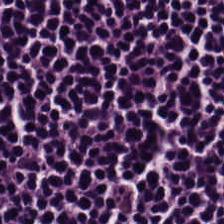Hematoxylin-and-eosin stained section.
Predominant tissue = lymphoid infiltrate.
